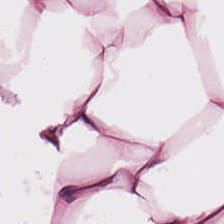H&E stain.
Q: What is shown in this field?
A: Fat tissue.
